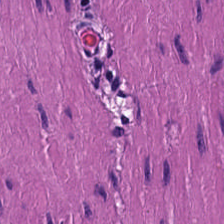H&E stain — Q: What is shown here?
A: The field shows muscularis.
